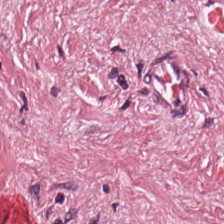H&E-stained tissue section. This patch shows tumor-associated stroma.
